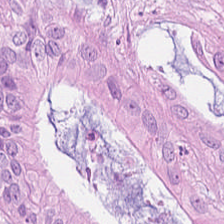H&E — adenocarcinoma.
